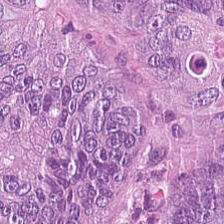Stain: hematoxylin-and-eosin stained section.
Predominant tissue: adenocarcinoma.
